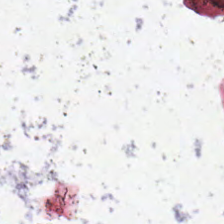Stain: H&E-stained tissue section.
Classification: background.
